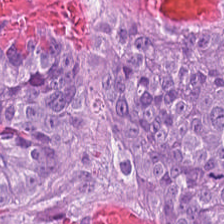Histology — colorectal adenocarcinoma.
